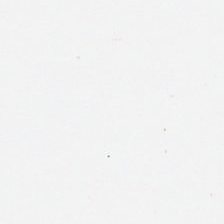Hematoxylin and eosin.
No tissue present; background only.
